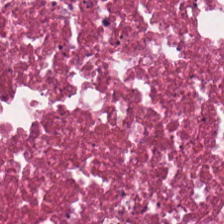Predominantly necrotic debris.
